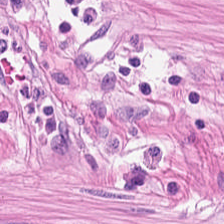Hematoxylin-and-eosin stained section · 0.5 microns per pixel · brightfield. This field is muscularis.
